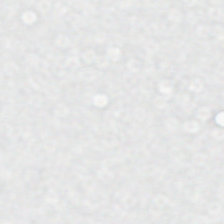Stain: hematoxylin and eosin.
Tile size: 224×224 px patch.
Classification: no tissue.
